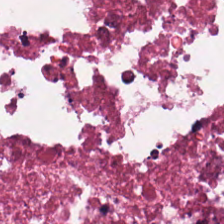Hematoxylin and eosin. 0.5 µm/px. 224×224 px tile.
Impression → cellular debris.
